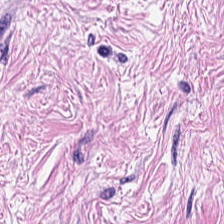Classification — tumor stroma.
